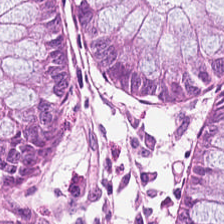224×224 px patch. Hematoxylin and eosin. Q: What type of tissue is this?
A: Normal colonic mucosa.
